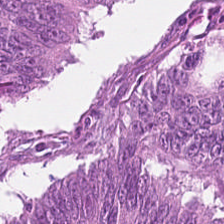H&E-stained section; the field shows adenocarcinoma.
